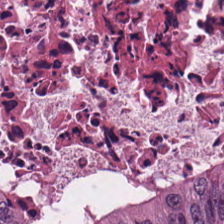H&E-stained tissue section; WSI patch. This field is debris.
